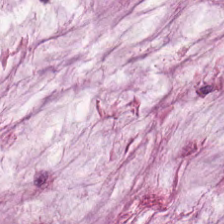Tissue type = mucus.
